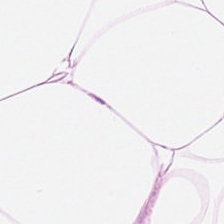H&E-stained tissue section — Finding → adipose.
